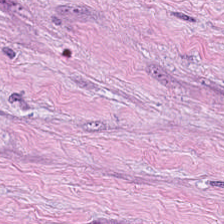Histology — tumor stroma.
